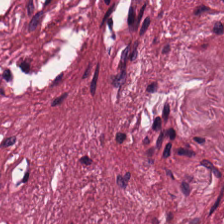Hematoxylin-and-eosin stained section.
This field is cancer-associated stroma.
